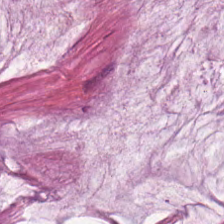H&E stain.
Histology → mucus.
